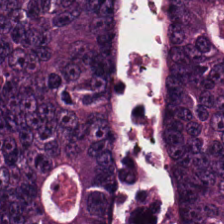WSI patch; H&E stain.
The predominant tissue is adenocarcinoma.
